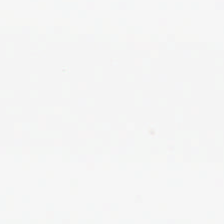0.5 microns per pixel. 224×224 pixel tile. H&E.
This field is background (no tissue).
